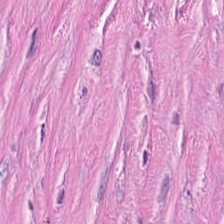Hematoxylin and eosin. Predominant tissue = tumor stroma.
